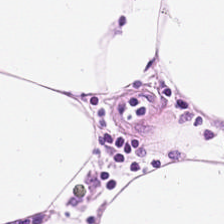Hematoxylin and eosin. Formalin-fixed paraffin-embedded section — Finding → adipocytes.
